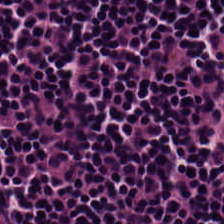WSI patch; hematoxylin-and-eosin stained section; FFPE tissue section.
Q: What type of tissue is this?
A: The field shows lymphoid infiltrate.
